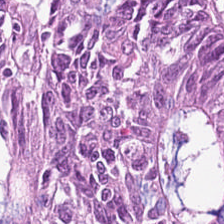H&E stain; 224×224 px patch.
Malignant epithelium.
